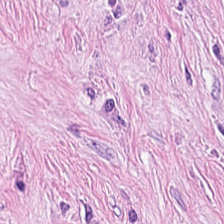H&E-stained tissue section · 20× equivalent magnification · brightfield. Showing desmoplastic stroma.
